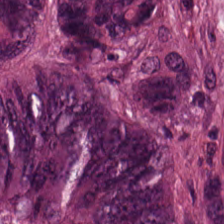0.5 microns per pixel; H&E — Tissue type: colorectal adenocarcinoma.
